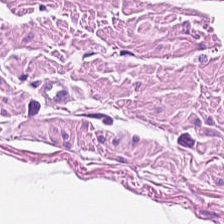224×224 px patch. Hematoxylin-and-eosin stained section. {"tissue_type": "muscularis"}
